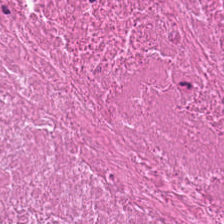H&E; brightfield. Q: What is shown in this field?
A: This is necrotic debris.
